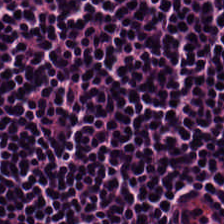H&E.
This patch shows lymphocyte aggregate.
